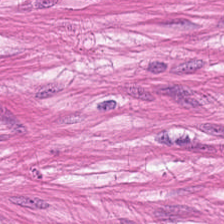FFPE tissue section; hematoxylin-and-eosin stained section.
Showing smooth muscle.
